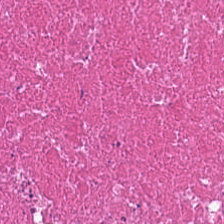Tissue = debris.
